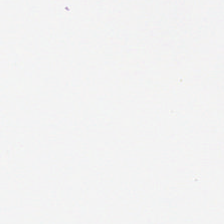H&E stain. Impression → background.
